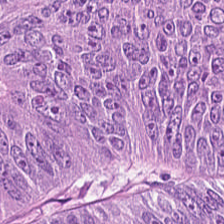Stain: H&E stain.
Predominant tissue: malignant epithelium.
